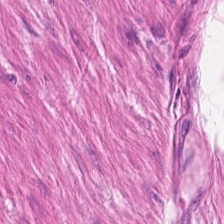Stain: hematoxylin-and-eosin stained section.
Preparation: FFPE.
Classification: smooth muscle.
